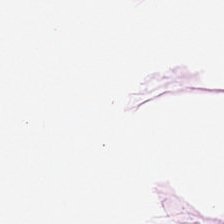Stain: H&E.
Classification: adipose tissue.
